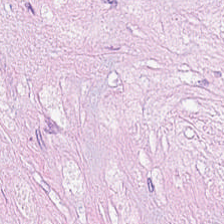224×224 px tile. Hematoxylin and eosin.
The tissue here is desmoplastic stroma.
